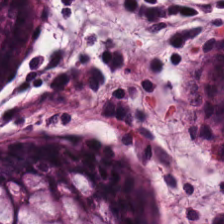Brightfield microscopy. H&E-stained tissue section. 0.5 µm per pixel. Q: What tissue is shown?
A: It is normal colonic mucosa.
